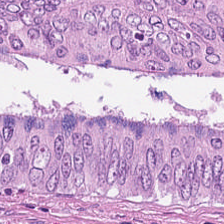Hematoxylin and eosin.
The tissue type is adenocarcinoma.
